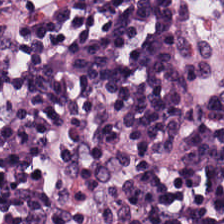H&E.
Q: What is shown here?
A: Lymphocyte aggregate.
